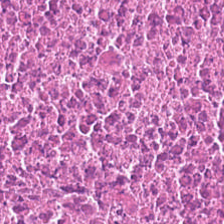H&E-stained tissue section.
Q: What is shown in this field?
A: This is necrotic debris.
